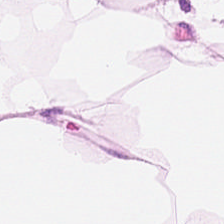Hematoxylin-and-eosin section: fat tissue.
